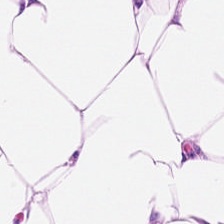H&E. This field is adipocytes.
